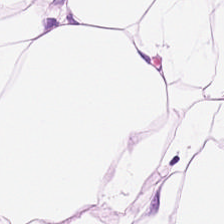FFPE tissue section; H&E-stained tissue section. Q: What tissue is shown?
A: Adipose.
